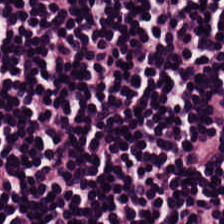H&E-stained tissue section.
The tissue here is lymphocytic infiltrate.
